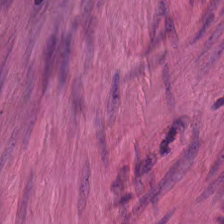Stain: hematoxylin and eosin.
Tissue: smooth-muscle tissue.
